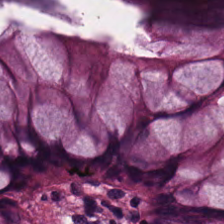Tissue — non-neoplastic colon mucosa.
